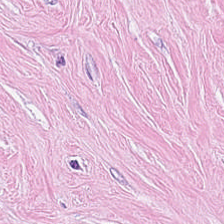Impression — tumor-associated stroma.
